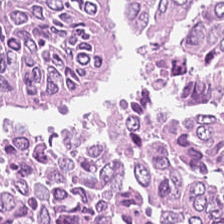Hematoxylin-and-eosin stained section — Tissue class: malignant epithelium.
